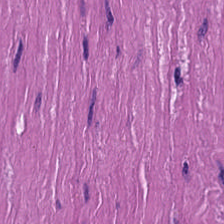H&E-stained section; the field shows smooth muscle.
